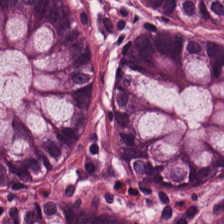H&E-stained tissue section — Tissue type = normal colonic mucosa.
